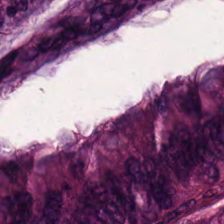FFPE · H&E stain — Impression — colorectal adenocarcinoma epithelium.
